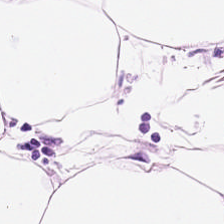H&E — adipose tissue.
